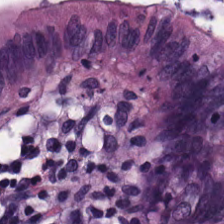Hematoxylin and eosin — Impression — normal colon mucosa.
